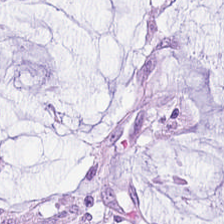This patch shows extracellular mucin.
